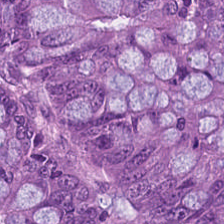H&E-stained tissue section — Impression → adenocarcinoma.
